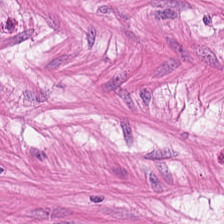H&E.
Finding — smooth muscle.
